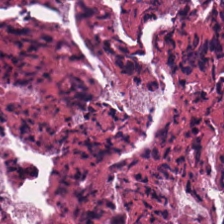H&E stain.
The classification is debris.
